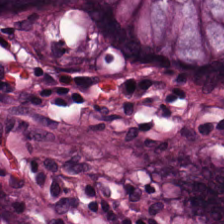H&E · 0.5 µm/px. Impression — normal colonic mucosa.
